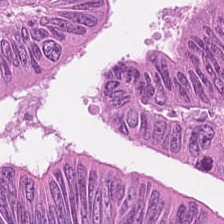Hematoxylin and eosin. Tissue type: colorectal adenocarcinoma epithelium.
